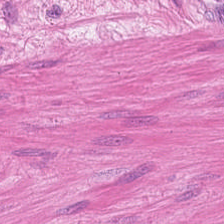Hematoxylin and eosin.
Classification: muscularis.
